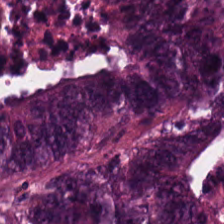Stain: H&E.
Classification: adenocarcinoma.
